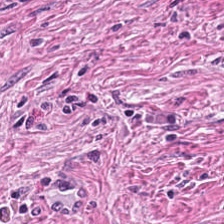H&E-stained tissue section — Predominantly cancer-associated stroma.
